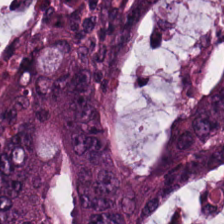This patch shows colorectal adenocarcinoma.
